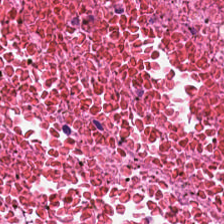H&E stain.
Predominantly cellular debris.
